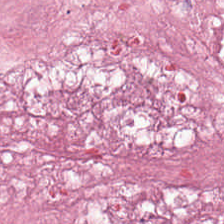Tumor-associated stroma.
